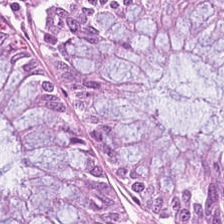H&E.
Normal colon mucosa.
